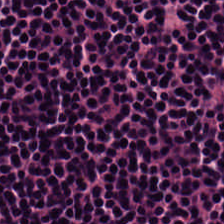Hematoxylin-and-eosin stained section.
Q: What tissue is shown?
A: Lymphocytes.
